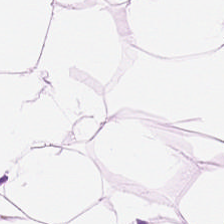H&E — Showing fat tissue.
